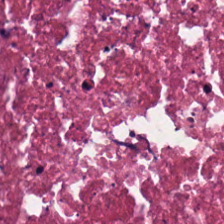Hematoxylin and eosin — The predominant tissue is debris.
